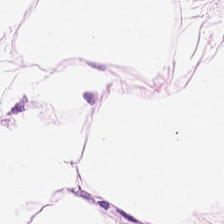Stain: H&E-stained tissue section.
Tissue class: adipose.
